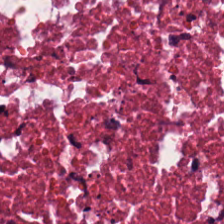0.5 µm/px; hematoxylin and eosin. Showing cellular debris.
